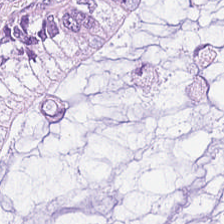WSI patch. H&E.
Predominant tissue — extracellular mucin.
